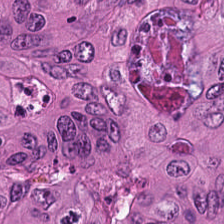Finding → colorectal adenocarcinoma.
